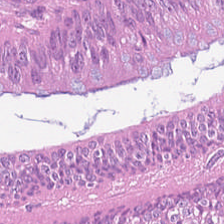Stain: hematoxylin-and-eosin stained section.
Acquisition: whole-slide-image patch.
Preparation: FFPE.
Tissue type: colorectal adenocarcinoma epithelium.
